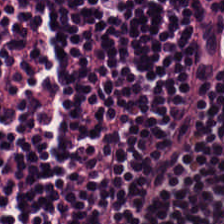The predominant tissue is lymphoid infiltrate.
